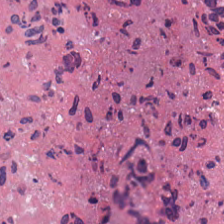Formalin-fixed paraffin-embedded section. H&E stain.
The tissue here is debris.
